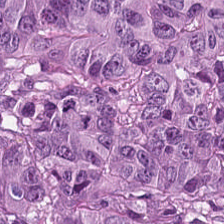Hematoxylin and eosin · FFPE tissue section — This field is colorectal adenocarcinoma.
